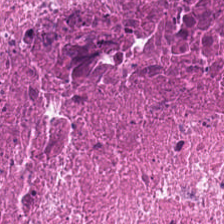Tissue class: debris.
